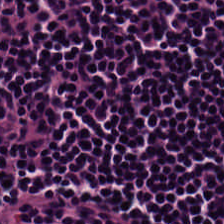H&E-stained tissue section · 20× equivalent magnification. Predominantly lymphocytic infiltrate.
